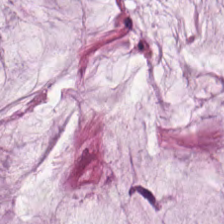Hematoxylin and eosin. Tissue — extracellular mucin.
